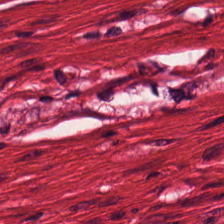Stain: H&E stain.
Preparation: FFPE tissue section.
Tissue type: smooth muscle.
